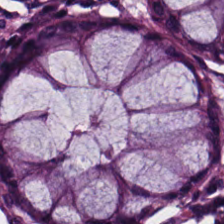Hematoxylin-and-eosin stained section — Q: What does this patch show?
A: Non-neoplastic colon mucosa.
